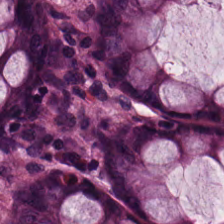H&E stain; 224×224 px tile; brightfield microscopy. Tissue class: normal colon mucosa.
